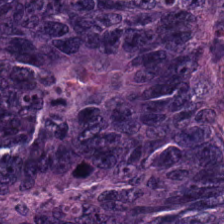224×224 pixel tile. H&E. 0.5 µm/px. The predominant tissue is tumor epithelium.
